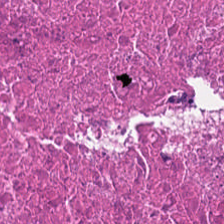Hematoxylin-and-eosin stained section. Formalin-fixed paraffin-embedded section — Predominantly necrotic debris.
